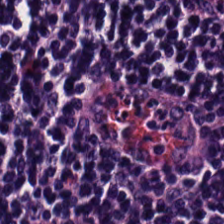H&E. 0.5 µm/px — Q: What is the predominant tissue type?
A: This is lymphoid infiltrate.
